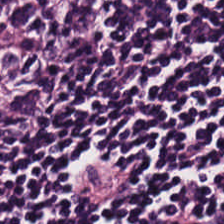Tissue type — lymphoid infiltrate.
